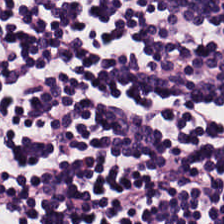H&E-stained tissue section; FFPE; 224×224 pixel tile.
This patch shows lymphocyte aggregate.
